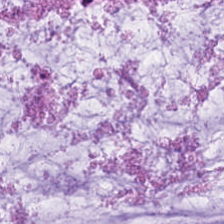H&E stain.
Q: What is shown in this field?
A: The field shows extracellular mucin.
